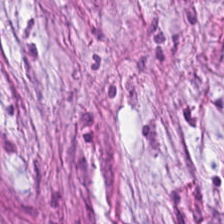H&E stain — Q: Identify the tissue.
A: It is tumor-associated stroma.
